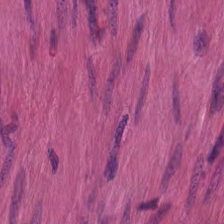Hematoxylin and eosin. Histology — smooth-muscle tissue.
